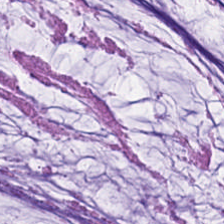Stain: hematoxylin and eosin.
Tissue: extracellular mucin.
